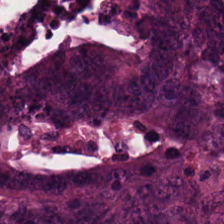Brightfield; H&E stain — The predominant tissue is adenocarcinoma.
